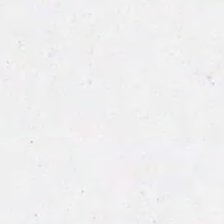Hematoxylin and eosin — Classification — background (no tissue).
